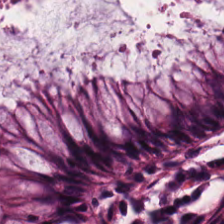H&E · 224×224 pixel tile. The tissue class is normal colon mucosa.
